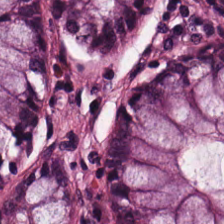H&E-stained tissue section showing normal colonic mucosa.
